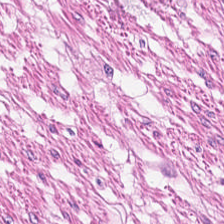Q: What does this patch show?
A: Smooth muscle.
